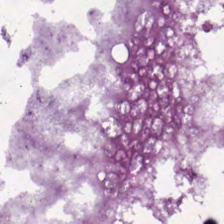The predominant tissue is malignant epithelium.
